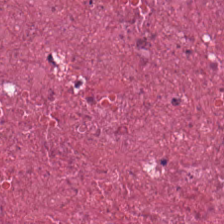224×224 px tile · formalin-fixed paraffin-embedded section · hematoxylin-and-eosin stained section — Q: Identify the tissue.
A: This is cellular debris.
